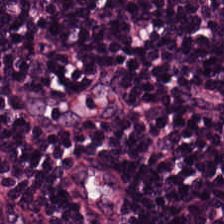H&E-stained tissue section. The predominant tissue is lymphoid infiltrate.
